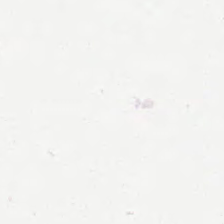0.5 microns per pixel. Hematoxylin and eosin. Histology — background.
